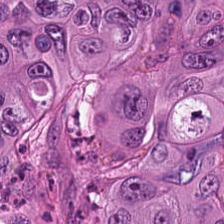H&E — Showing colorectal adenocarcinoma epithelium.
